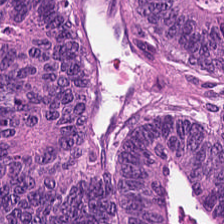224×224 px patch. Formalin-fixed paraffin-embedded section. H&E-stained tissue section. The classification is malignant epithelium.
